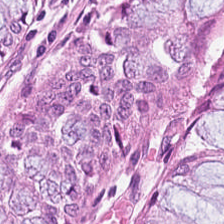Hematoxylin and eosin. Showing normal colon mucosa.
